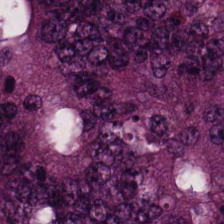H&E stain. Formalin-fixed paraffin-embedded section. 0.5 µm/px — This field is colorectal adenocarcinoma epithelium.
